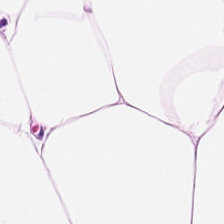Hematoxylin-and-eosin stained section — Histology — adipocytes.
